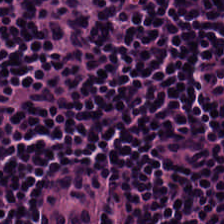Stain: hematoxylin-and-eosin stained section.
Tile size: 224×224 px patch.
Tissue class: lymphoid infiltrate.
